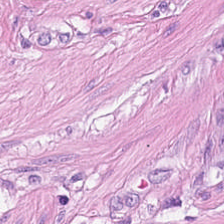Hematoxylin-and-eosin stained section. Q: What does this patch show?
A: It is muscularis.
